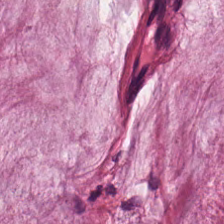Hematoxylin-and-eosin stained section. The tissue here is mucus.
